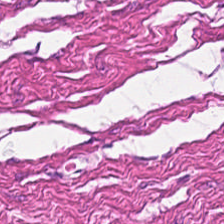224×224 px tile · hematoxylin-and-eosin stained section.
Q: What is shown in this field?
A: This is smooth muscle.
